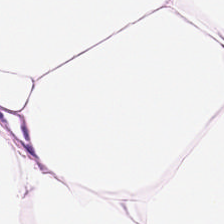Brightfield microscopy. Formalin-fixed paraffin-embedded section. Hematoxylin-and-eosin stained section — Q: What is the predominant tissue type?
A: The field shows fat tissue.
